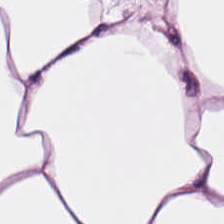Hematoxylin-and-eosin stained section — Q: What tissue type is shown here?
A: Adipose tissue.
